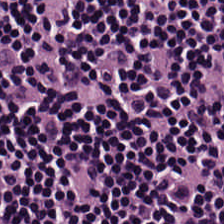Tissue = lymphocytes.
